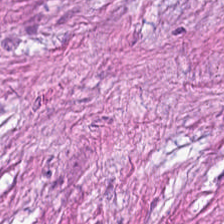H&E; 224×224 px tile — Finding — desmoplastic stroma.
